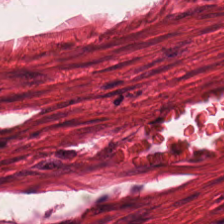Predominantly smooth-muscle tissue.
